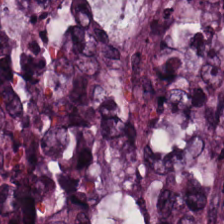Hematoxylin-and-eosin stained section — This patch shows adenocarcinoma.
